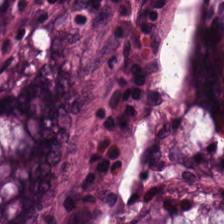H&E stain — This field is normal colon mucosa.
